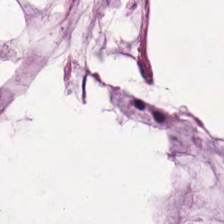The tissue type is mucus.
